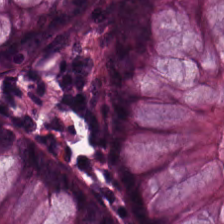H&E stain; whole-slide-image patch.
Showing non-neoplastic colon mucosa.
